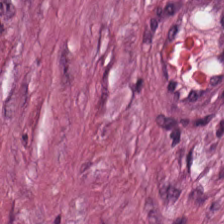Hematoxylin-and-eosin stained section. 0.5 microns per pixel. WSI patch.
{"tissue_type": "tumor stroma"}
